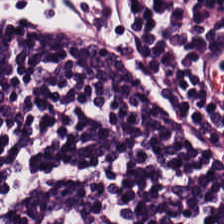Hematoxylin-and-eosin stained section. Predominantly lymphocytic infiltrate.
